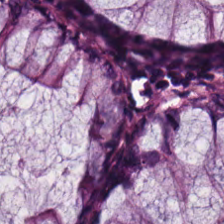Showing normal colon mucosa.
